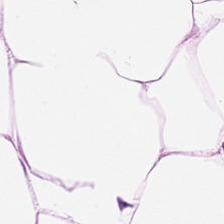Stain: H&E-stained tissue section.
Classification: adipose.
